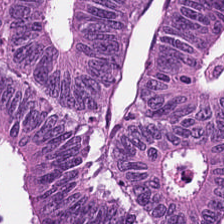224×224 px tile · FFPE tissue section · hematoxylin and eosin.
This patch shows colorectal adenocarcinoma.
